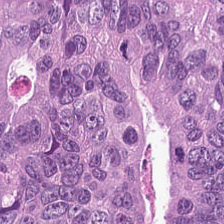0.5 microns per pixel; brightfield; hematoxylin-and-eosin stained section.
Tissue type: colorectal adenocarcinoma epithelium.
